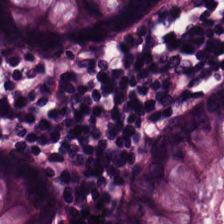Hematoxylin-and-eosin stained section. 224×224 pixel tile. Brightfield microscopy.
This patch shows non-neoplastic colon mucosa.
